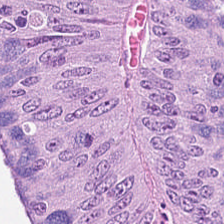20× equivalent magnification. Formalin-fixed paraffin-embedded section. H&E stain — Q: What type of tissue is this?
A: It is malignant epithelium.
